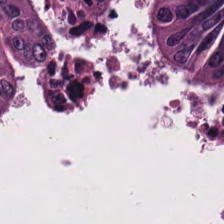H&E. Q: Identify the tissue.
A: This is adenocarcinoma.
